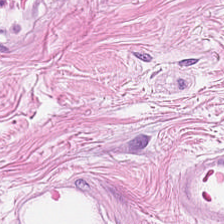H&E. This patch shows smooth muscle.
